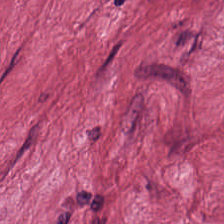H&E-stained section; the field shows cancer-associated stroma.
